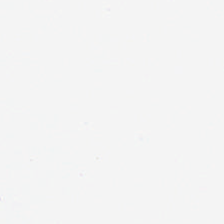H&E; WSI patch. {"content": "background"}
